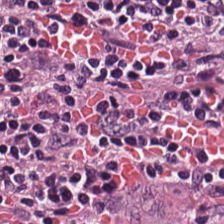Stain: hematoxylin and eosin.
Classification: lymphoid infiltrate.
